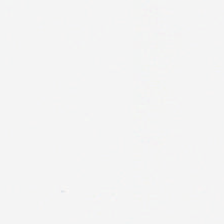H&E; 224×224 pixel tile — The content is empty background.
